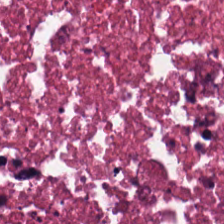Showing cellular debris.
